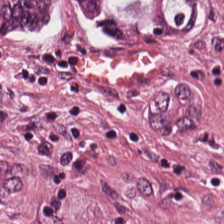H&E; WSI patch. Finding — tumor epithelium.
